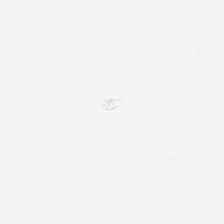0.5 microns per pixel · H&E-stained tissue section · FFPE — This patch shows background.
